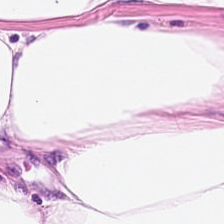Hematoxylin-and-eosin section: adipocytes.
